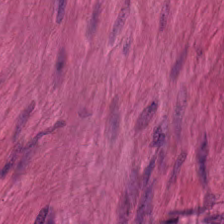0.5 µm per pixel; hematoxylin-and-eosin stained section.
{"tissue_type": "muscularis"}
